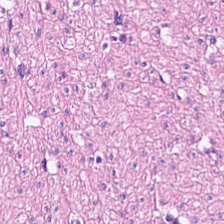H&E stain.
Smooth-muscle tissue.
